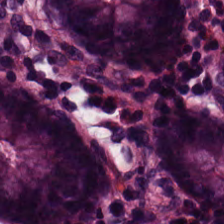0.5 µm/px. Hematoxylin-and-eosin stained section. Finding — normal colonic mucosa.
